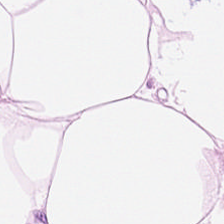H&E.
Finding → adipose.
